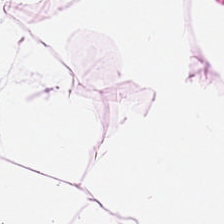The tissue class is adipose tissue.
